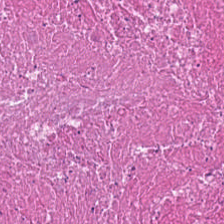FFPE tissue section · hematoxylin and eosin · 224×224 px patch. This field is cellular debris.
